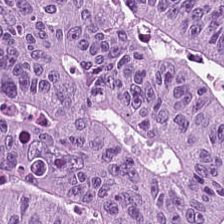Hematoxylin and eosin; 0.5 µm per pixel.
Predominant tissue = malignant epithelium.
